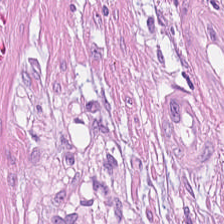H&E-stained tissue section.
The tissue is cancer-associated stroma.
